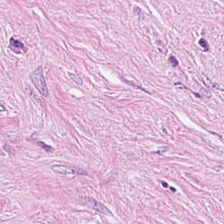H&E stain; FFPE tissue section; whole-slide-image patch.
This patch shows desmoplastic stroma.
